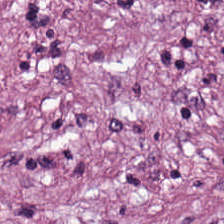Stain: H&E-stained tissue section.
Tile size: 224×224 pixel tile.
Acquisition: WSI patch.
Predominant tissue: cancer-associated stroma.
